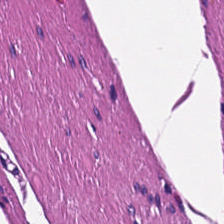This patch shows smooth-muscle tissue.
